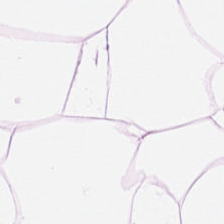H&E stain — Q: Identify the tissue.
A: It is fat tissue.
